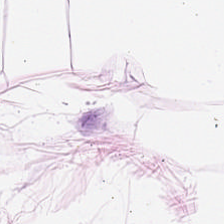Fat tissue.
